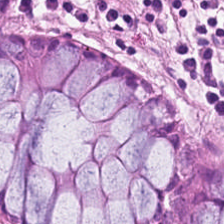Whole-slide-image patch · hematoxylin and eosin · 0.5 microns per pixel — Predominantly non-neoplastic colon mucosa.
